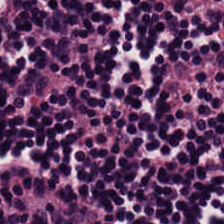H&E-stained tissue section. Tissue: lymphocyte aggregate.
